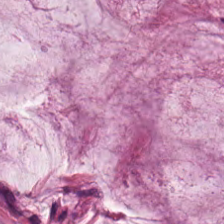Brightfield; FFPE; H&E stain. Q: What type of tissue is this?
A: It is mucin.
